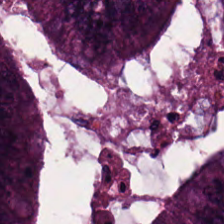Hematoxylin-and-eosin stained section. The tissue here is malignant epithelium.
